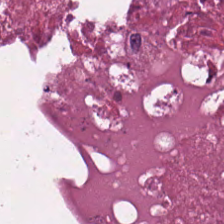Hematoxylin and eosin · 224×224 px patch. The predominant tissue is cellular debris.
